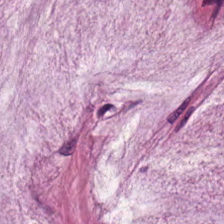Stain: hematoxylin-and-eosin stained section.
Classification: mucin.
